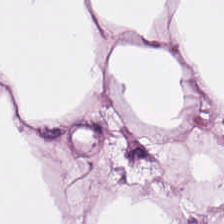Hematoxylin-and-eosin stained section.
Impression — adipose tissue.
